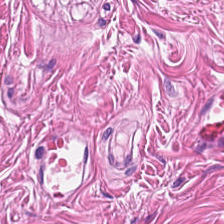H&E — Classification — smooth-muscle tissue.
